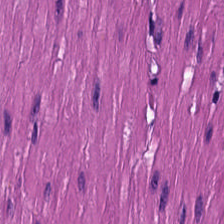Stain: H&E stain.
Tissue type: smooth-muscle tissue.
